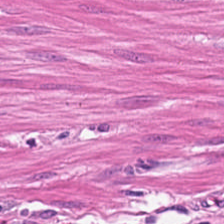Stain: H&E-stained tissue section.
Predominant tissue: smooth-muscle tissue.
